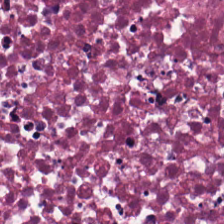This field is necrotic debris.
